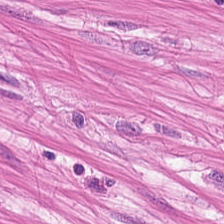Hematoxylin and eosin — Q: What is shown in this field?
A: It is muscularis.
